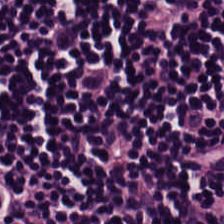Hematoxylin and eosin. FFPE tissue section. Brightfield — The tissue here is lymphoid infiltrate.
